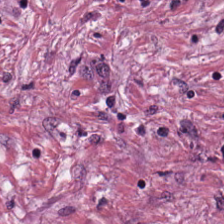Tissue = desmoplastic stroma.
